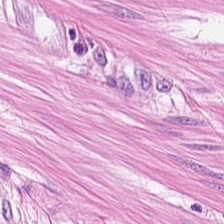Hematoxylin and eosin.
Tissue type — muscularis.
